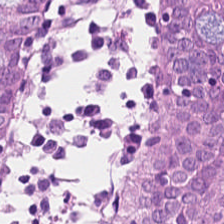224×224 px patch. Hematoxylin and eosin. FFPE tissue section.
Classification — non-neoplastic colon mucosa.
